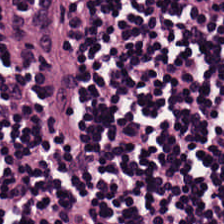This patch shows lymphocytes.
